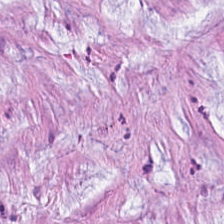H&E-stained tissue section — Tissue: extracellular mucin.
